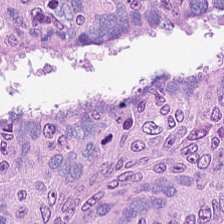H&E patch showing adenocarcinoma.
